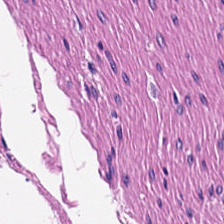H&E stain. 0.5 µm/px. WSI patch — Showing smooth muscle.
